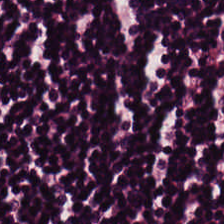224×224 px tile · H&E.
Histology — lymphocytic infiltrate.
